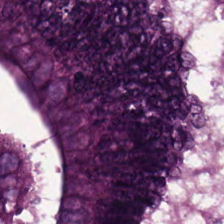Tissue: colorectal adenocarcinoma.
